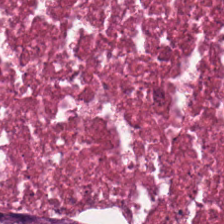H&E. The predominant tissue is debris.
